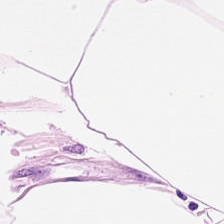H&E. 224×224 pixel tile. The tissue here is adipocytes.
